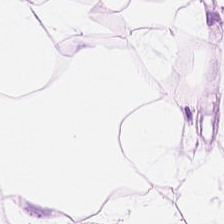Stain: H&E-stained tissue section.
Tissue class: fat tissue.
